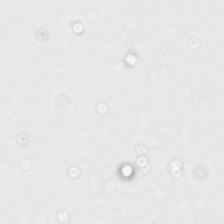H&E stain. Brightfield microscopy. {"content": "empty background"}
